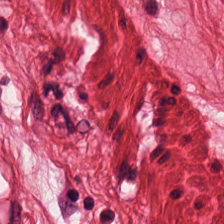224×224 px tile. H&E stain. The predominant tissue is muscularis.
